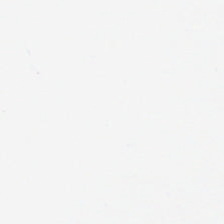Q: Classify this patch.
A: The field shows background (no tissue).
